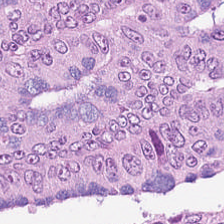This patch shows adenocarcinoma.
